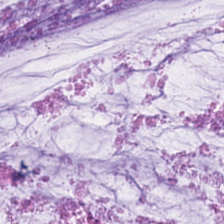Predominant tissue — mucus.
